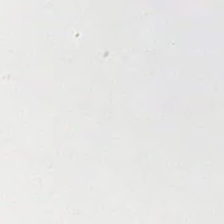Q: What is shown here?
A: Empty background.
